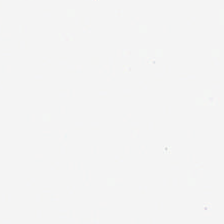Hematoxylin and eosin — Background — no tissue in this field.
